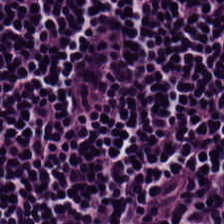H&E — The tissue here is lymphocyte aggregate.
